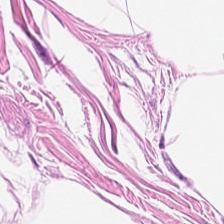H&E stain · brightfield microscopy. The classification is adipocytes.
